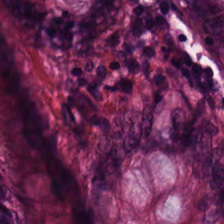H&E-stained tissue section.
Finding — normal colon mucosa.
